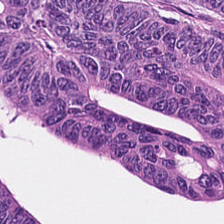Hematoxylin-and-eosin stained section. Predominant tissue = malignant epithelium.
